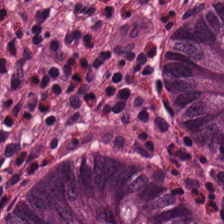Hematoxylin-and-eosin stained section. Tissue = non-neoplastic colon mucosa.
